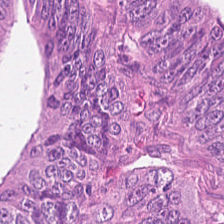Stain: hematoxylin-and-eosin stained section.
Tissue: tumor epithelium.
